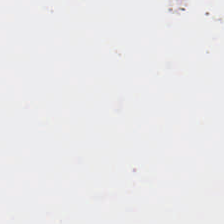Field content: no tissue.
